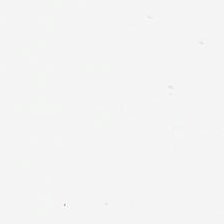Empty background.
